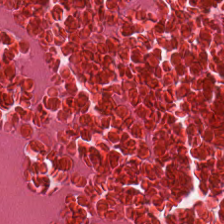Whole-slide-image patch; H&E-stained tissue section. Q: What type of tissue is this?
A: It is debris.
